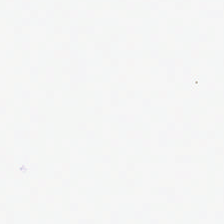Field content = no tissue.
